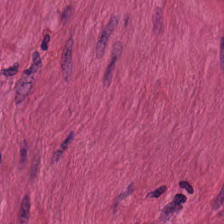Stain: H&E-stained tissue section.
Preparation: formalin-fixed paraffin-embedded section.
Acquisition: WSI patch.
Tissue type: muscularis.
